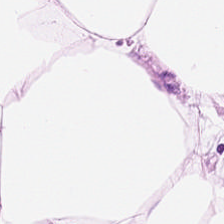Stain: H&E-stained tissue section.
Acquisition: brightfield microscopy.
Preparation: FFPE tissue section.
Tissue class: fat tissue.
